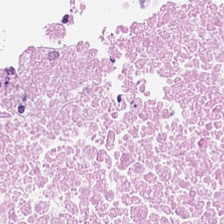Hematoxylin and eosin. Q: Identify the tissue.
A: Necrotic debris.
